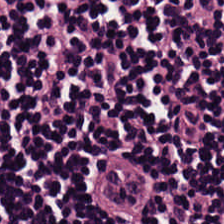Hematoxylin-and-eosin stained section.
Showing lymphocytes.
